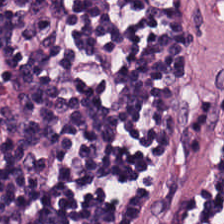Whole-slide-image patch. 224×224 px tile. Hematoxylin and eosin. Classification — lymphocytes.
